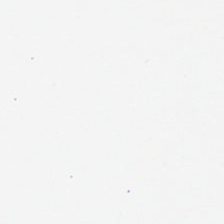Q: Classify this patch.
A: The field shows empty background.
